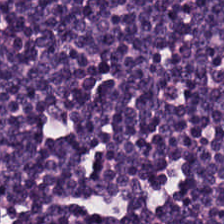Formalin-fixed paraffin-embedded section · H&E. This field is lymphocyte aggregate.
